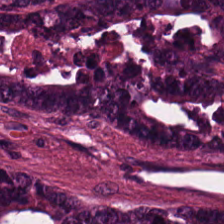224×224 px tile · H&E-stained tissue section. Q: What is shown in this field?
A: This is colorectal adenocarcinoma.
